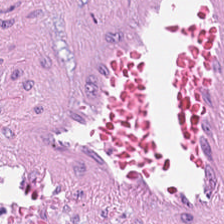Tissue type = desmoplastic stroma.
